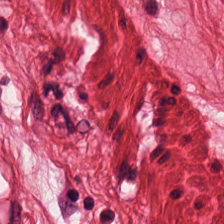Hematoxylin and eosin.
Histology — smooth muscle.
